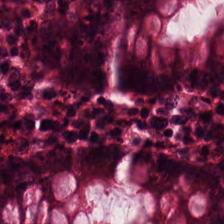Q: What is shown here?
A: Benign colonic mucosa.
